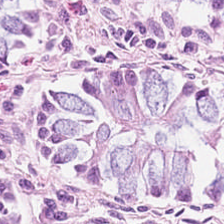Hematoxylin-and-eosin stained section. Tissue class = normal colonic mucosa.
